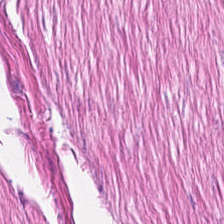FFPE. Whole-slide-image patch. Hematoxylin and eosin — Tissue: muscularis.
